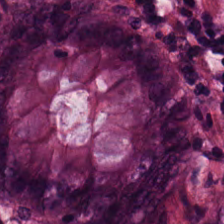Hematoxylin and eosin. Formalin-fixed paraffin-embedded section.
Histology → non-neoplastic colon mucosa.
